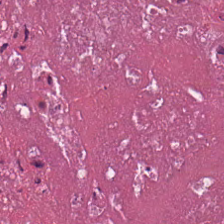H&E.
The tissue type is necrotic debris.
